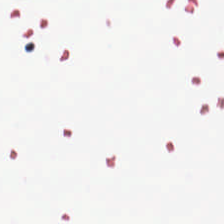Hematoxylin-and-eosin stained section · FFPE. Background — no tissue in this field.
